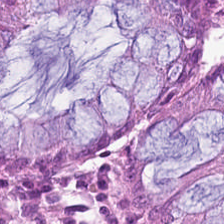FFPE · 224×224 px tile · H&E-stained tissue section.
The predominant tissue is normal colon mucosa.
